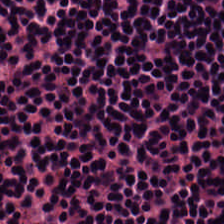Hematoxylin-and-eosin stained section.
Q: Classify this patch.
A: Lymphoid infiltrate.
